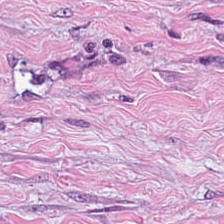The predominant tissue is desmoplastic stroma.
